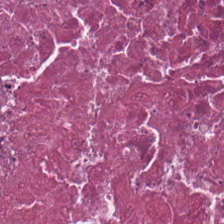FFPE · H&E stain · brightfield. Q: What type of tissue is this?
A: Cellular debris.
